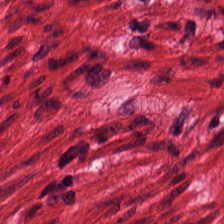Brightfield microscopy; H&E-stained tissue section. {"tissue_type": "muscularis"}
